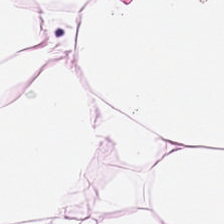Predominant tissue = adipose tissue.
